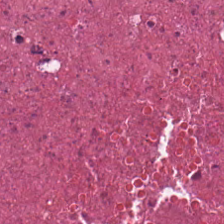Hematoxylin and eosin.
The predominant tissue is necrotic debris.
